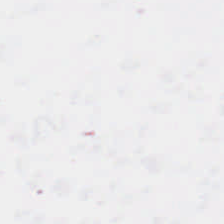Hematoxylin-and-eosin stained section — Background — no tissue in this field.
